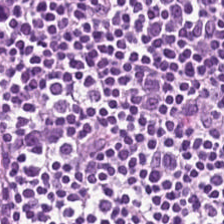Hematoxylin and eosin. The predominant tissue is lymphocyte aggregate.
